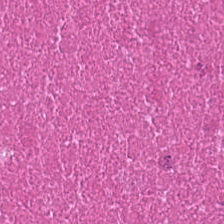FFPE; H&E stain.
The predominant tissue is cellular debris.
